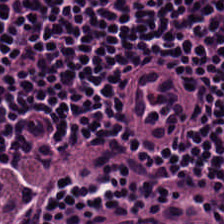Stain: H&E.
Predominant tissue: lymphocyte aggregate.
